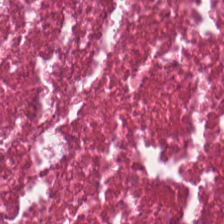H&E stain.
This field is cellular debris.
